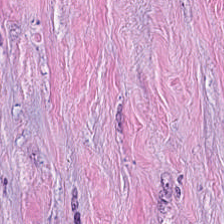WSI patch · hematoxylin and eosin · 224×224 pixel tile — This patch shows tumor-associated stroma.
